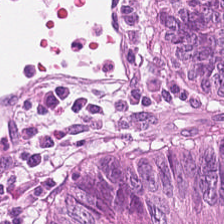Malignant epithelium.
